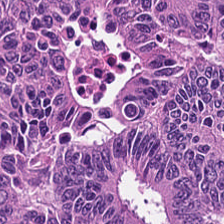0.5 microns per pixel; H&E-stained tissue section; 224×224 px patch.
Tissue: colorectal adenocarcinoma.
